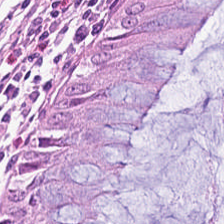224×224 pixel tile. Hematoxylin and eosin.
Q: What type of tissue is this?
A: This is normal colon mucosa.
